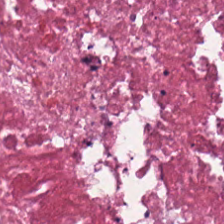Stain: hematoxylin-and-eosin stained section.
Classification: cellular debris.
